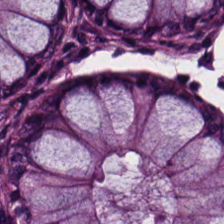224×224 px tile; hematoxylin-and-eosin stained section; brightfield.
Q: Classify this patch.
A: The field shows non-neoplastic colon mucosa.
